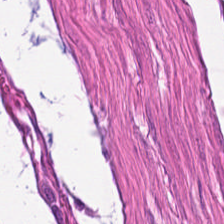Stain: hematoxylin and eosin.
Classification: smooth muscle.
